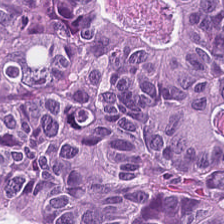Brightfield · 0.5 µm/px · hematoxylin-and-eosin stained section. Colorectal adenocarcinoma.
